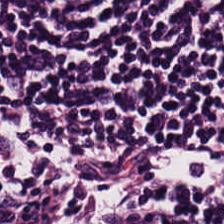Brightfield. Hematoxylin-and-eosin stained section — The predominant tissue is lymphocyte aggregate.
